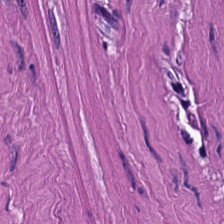H&E stain; FFPE tissue section. This patch shows muscularis.
